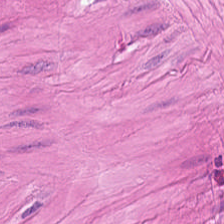Tissue type = muscularis.
